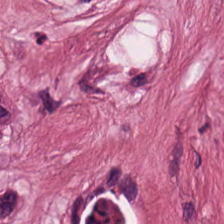Hematoxylin-and-eosin stained section · 0.5 µm/px — This field is desmoplastic stroma.
